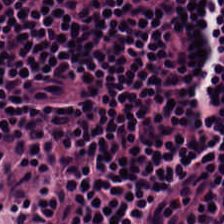H&E stain. {"tissue_type": "lymphocyte aggregate"}
